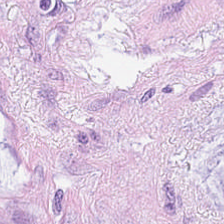The tissue here is mucus.
